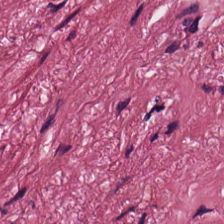WSI patch; hematoxylin and eosin; 224×224 px patch — Q: What does this patch show?
A: This is desmoplastic stroma.
